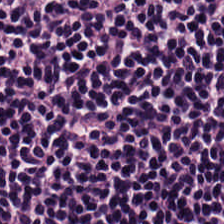224×224 px tile. H&E stain — Q: What is shown in this field?
A: The field shows lymphocytes.
